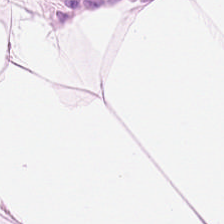20× equivalent magnification · H&E stain — The tissue here is adipose.
